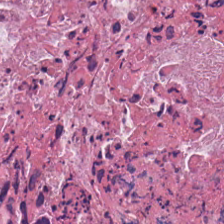H&E patch showing cellular debris.
